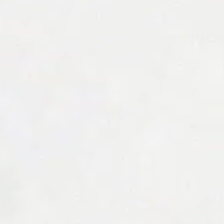Stain: H&E-stained tissue section.
Content: background.
